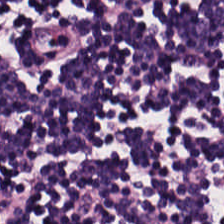H&E — The tissue is lymphocyte aggregate.
